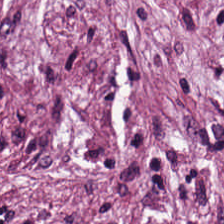H&E stain.
Predominant tissue — tumor-associated stroma.
